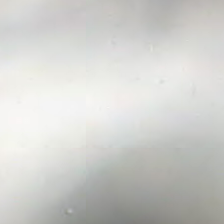Histology — background (no tissue).
